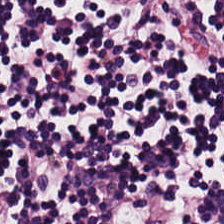0.5 µm per pixel. FFPE. H&E-stained tissue section. Tissue = lymphoid infiltrate.
